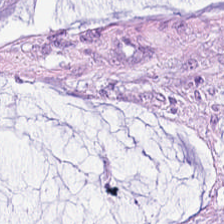Q: What does this patch show?
A: This is mucin.
